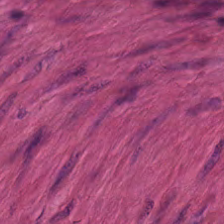H&E stain · 224×224 px tile. {"tissue_type": "smooth-muscle tissue"}
